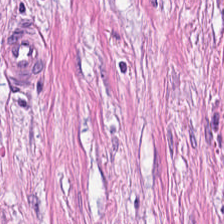WSI patch; 0.5 microns per pixel; H&E — Q: Identify the tissue.
A: Tumor-associated stroma.
